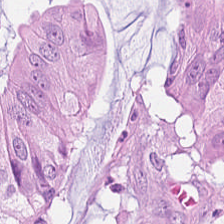H&E — Q: What tissue is shown?
A: It is colorectal adenocarcinoma.
